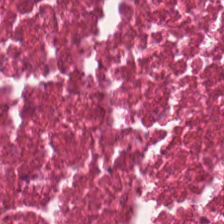The tissue type is cellular debris.
